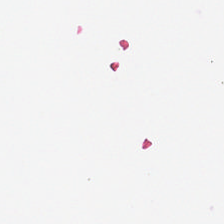0.5 µm per pixel · H&E-stained tissue section. This patch shows no tissue.
